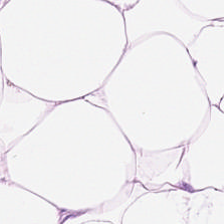Formalin-fixed paraffin-embedded section. Whole-slide-image patch. H&E stain.
This patch shows adipocytes.
